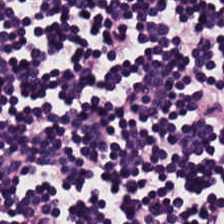FFPE tissue section; 224×224 pixel tile; hematoxylin-and-eosin stained section — Classification = lymphoid infiltrate.
